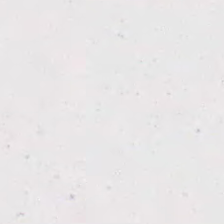H&E stain — Histology → no tissue.
